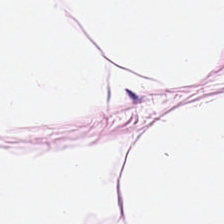The tissue here is adipose.
